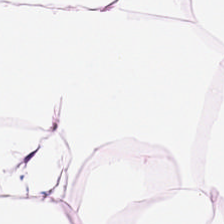Brightfield. H&E.
This patch shows adipose tissue.
